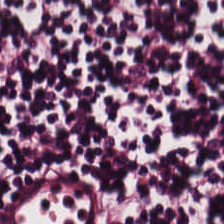Stain: H&E-stained tissue section.
Tissue: lymphocyte aggregate.
